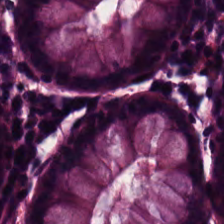H&E stain — Showing benign colonic mucosa.
